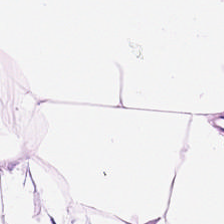H&E-stained tissue section · 0.5 microns per pixel — Adipocytes.
